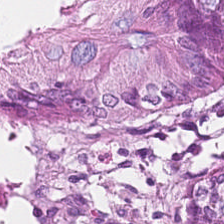Hematoxylin and eosin — This patch shows normal colonic mucosa.
